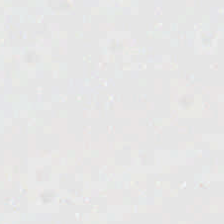Stain: H&E.
Content: background (no tissue).
